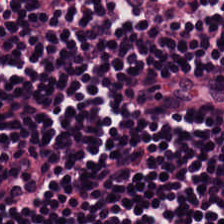Impression — lymphocytes.
